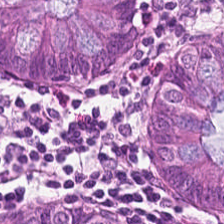H&E stain — Benign colonic mucosa.
